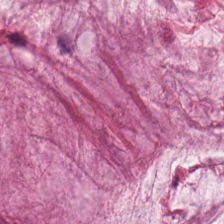Q: What is shown in this field?
A: Mucus.
